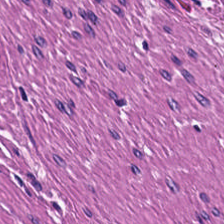H&E-stained tissue section; brightfield; formalin-fixed paraffin-embedded section.
This patch shows smooth muscle.
